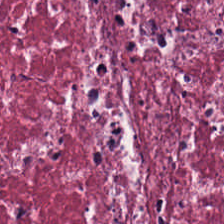H&E stain. Tissue type — tumor-associated stroma.
